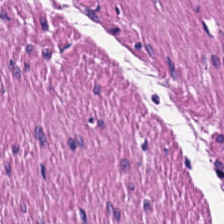H&E-stained tissue section.
Showing smooth muscle.
